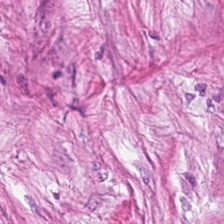H&E stain — Impression — tumor-associated stroma.
